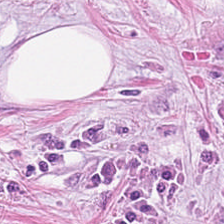Whole-slide-image patch; H&E; 0.5 µm/px — The tissue here is desmoplastic stroma.
